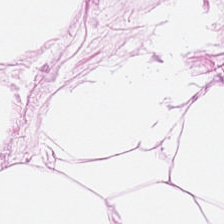Hematoxylin-and-eosin stained section. 0.5 µm/px. Whole-slide-image patch. Predominant tissue: fat tissue.
